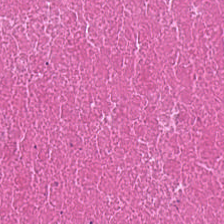224×224 px tile. H&E stain.
The predominant tissue is debris.
